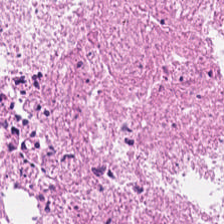0.5 µm per pixel; hematoxylin and eosin — Q: Identify the tissue.
A: This is debris.
